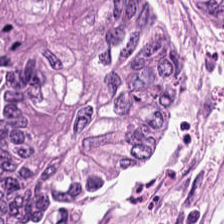Brightfield; H&E stain. Showing malignant epithelium.
